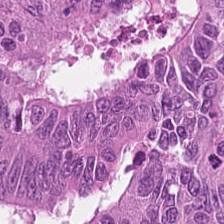Hematoxylin and eosin.
Tissue type = colorectal adenocarcinoma epithelium.
